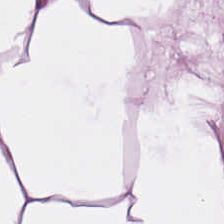Hematoxylin and eosin · 0.5 microns per pixel · 224×224 pixel tile.
{"tissue_type": "adipocytes"}
